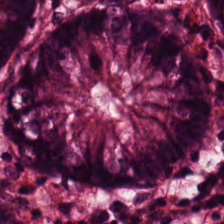Hematoxylin-and-eosin stained section; 0.5 microns per pixel — Tissue class — non-neoplastic colon mucosa.
